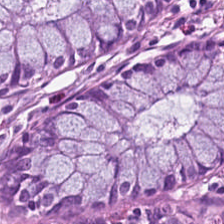H&E.
The predominant tissue is normal colon mucosa.
